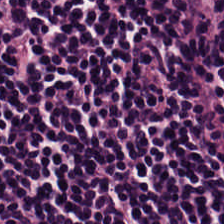Predominantly lymphocyte aggregate.
